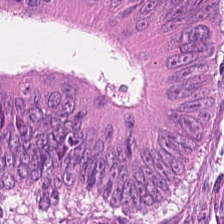H&E-stained tissue section showing adenocarcinoma.
